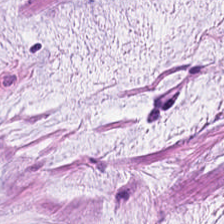Hematoxylin-and-eosin stained section — Predominantly mucin.
